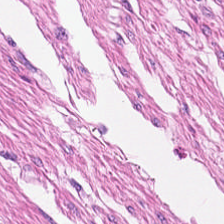20× equivalent magnification; H&E-stained tissue section — Q: Identify the tissue.
A: It is smooth-muscle tissue.
